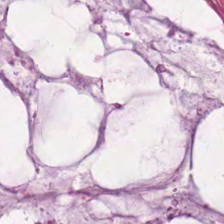H&E-stained tissue section showing mucus.
